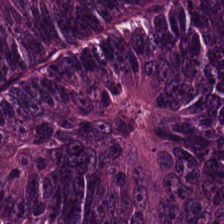Hematoxylin and eosin. The tissue here is adenocarcinoma.
